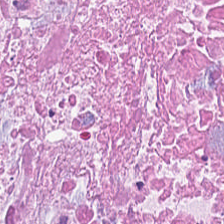Hematoxylin and eosin — The tissue type is cellular debris.
